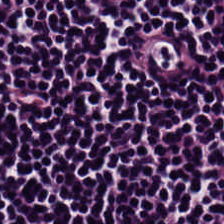Q: What tissue is shown?
A: It is lymphoid infiltrate.
